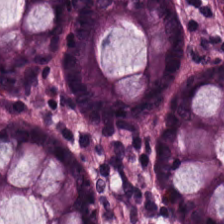H&E stain.
This patch shows benign colonic mucosa.
